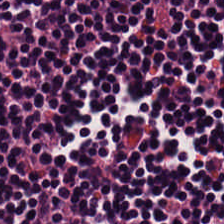Hematoxylin-and-eosin stained section — Lymphocytic infiltrate.
